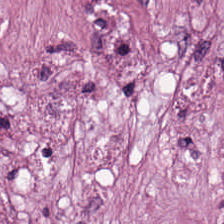Stain: H&E-stained tissue section.
Resolution: 0.5 µm/px.
Tissue class: desmoplastic stroma.
